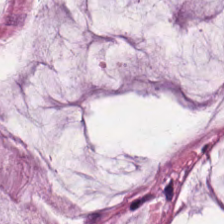Hematoxylin-and-eosin stained section — Q: What is the predominant tissue type?
A: Extracellular mucin.
